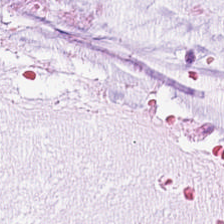20× equivalent magnification · H&E-stained tissue section.
Predominant tissue = mucus.
